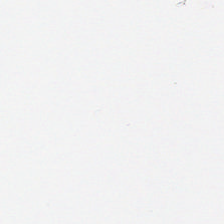0.5 µm/px. Hematoxylin-and-eosin stained section — The content is empty background.
